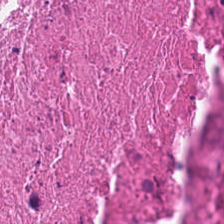Hematoxylin and eosin · FFPE — Predominant tissue — necrotic debris.
